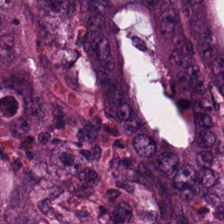20× equivalent magnification. FFPE. H&E — Finding — malignant epithelium.
